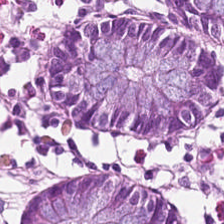H&E-stained tissue section · WSI patch.
{"tissue_type": "normal colonic mucosa"}
